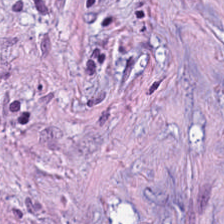H&E · 224×224 pixel tile. Q: What is the predominant tissue type?
A: It is tumor-associated stroma.
